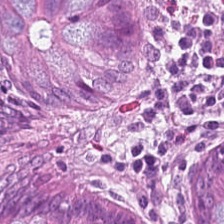H&E stain; WSI patch; 0.5 µm/px.
The predominant tissue is normal colonic mucosa.
